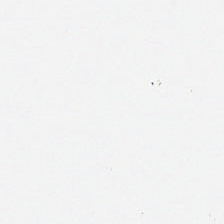This field is background (no tissue).
